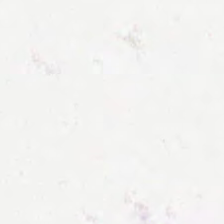Hematoxylin and eosin · 0.5 microns per pixel.
{"content": "background (no tissue)"}
